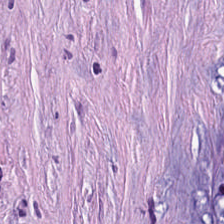Stain: hematoxylin-and-eosin stained section.
Preparation: FFPE tissue section.
Classification: tumor-associated stroma.
